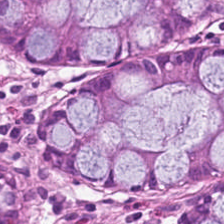Hematoxylin-and-eosin stained section.
This patch shows benign colonic mucosa.
